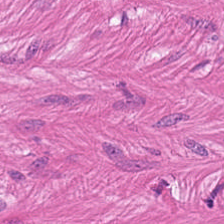Stain: H&E stain.
Preparation: FFPE.
Predominant tissue: smooth-muscle tissue.
